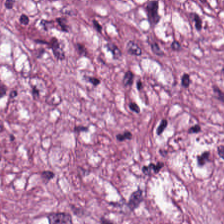Formalin-fixed paraffin-embedded section · H&E stain.
Q: What tissue is shown?
A: The field shows cancer-associated stroma.
